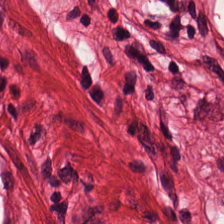H&E stain. Whole-slide-image patch — Q: What is shown here?
A: This is muscularis.
